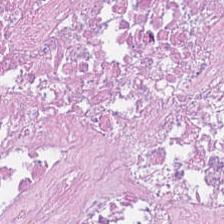H&E stain.
Debris.
